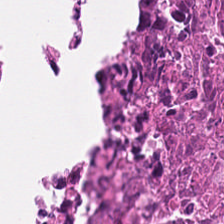Brightfield microscopy · 20× equivalent magnification · hematoxylin and eosin. Q: What tissue is shown?
A: Debris.
